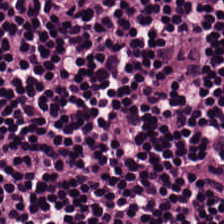Hematoxylin-and-eosin stained section; whole-slide-image patch. Q: What is the predominant tissue type?
A: The field shows lymphocytic infiltrate.
